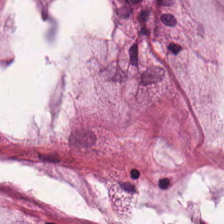H&E — Q: What is the predominant tissue type?
A: Mucin.
